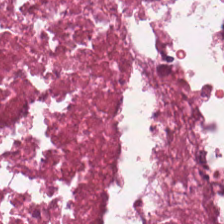FFPE tissue section · H&E-stained tissue section.
This field is debris.
